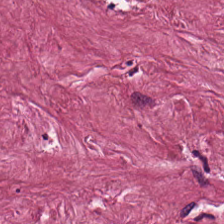Hematoxylin and eosin.
Tissue — tumor-associated stroma.
